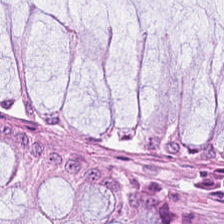Hematoxylin and eosin — Showing non-neoplastic colon mucosa.
